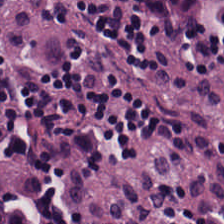H&E-stained tissue section. 0.5 µm/px.
The tissue here is lymphoid infiltrate.
